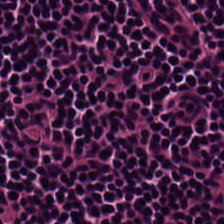0.5 microns per pixel. Hematoxylin-and-eosin stained section. FFPE — Showing lymphocyte aggregate.
